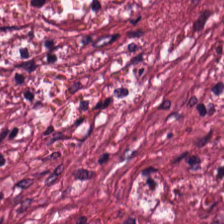H&E — Histology — tumor stroma.
